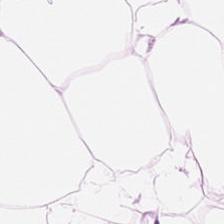Stain: H&E-stained tissue section.
Classification: adipose.
